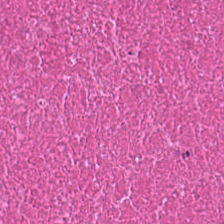Stain: H&E stain.
Acquisition: WSI patch.
Preparation: FFPE.
Tissue: debris.
